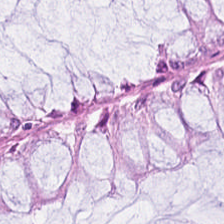H&E stain · formalin-fixed paraffin-embedded section.
Histology → non-neoplastic colon mucosa.
